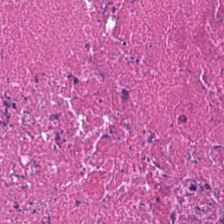Stain: H&E-stained tissue section.
Classification: cellular debris.
